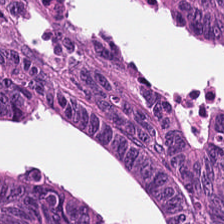Stain: H&E-stained tissue section.
Resolution: 0.5 µm per pixel.
Preparation: FFPE tissue section.
Tissue: colorectal adenocarcinoma.
